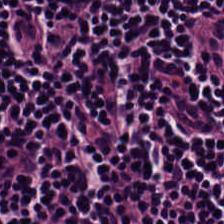Impression → lymphocytes.
